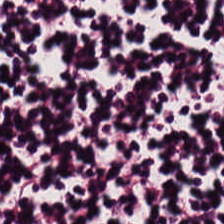H&E stain · brightfield · 0.5 µm/px.
Lymphoid infiltrate.
